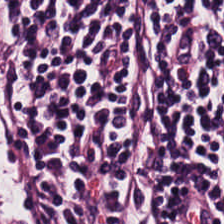H&E stain — This field is lymphocyte aggregate.
